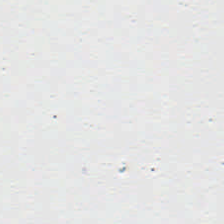Q: What is shown here?
A: The field shows no tissue.
